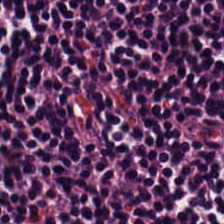Hematoxylin-and-eosin stained section — Predominantly lymphocytic infiltrate.
